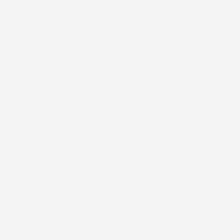Hematoxylin-and-eosin stained section — Background — no tissue in this field.
